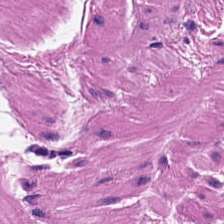Hematoxylin-and-eosin stained section. 20× equivalent magnification — Histology — muscularis.
